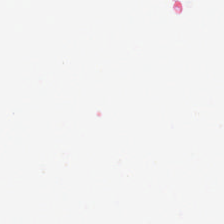Brightfield; H&E. Impression → background.
